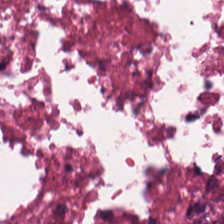Hematoxylin-and-eosin stained section — Predominantly necrotic debris.
